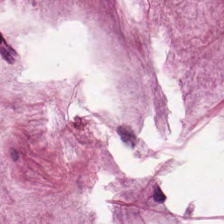H&E stain. 224×224 px tile — The predominant tissue is extracellular mucin.
